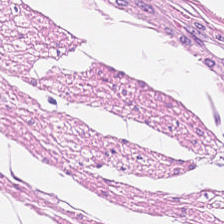Hematoxylin and eosin — {"tissue_type": "smooth muscle"}
